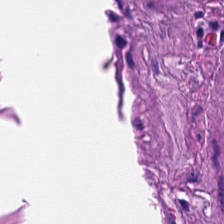H&E-stained tissue section · 224×224 px patch. Classification — smooth-muscle tissue.
